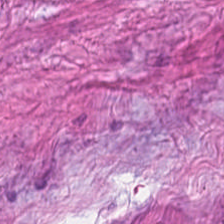The tissue here is desmoplastic stroma.
